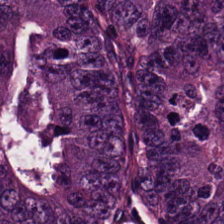Hematoxylin and eosin — The tissue type is adenocarcinoma.
